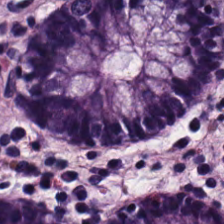Impression — non-neoplastic colon mucosa.
